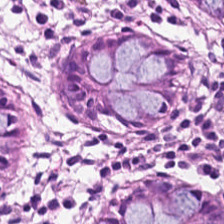H&E · FFPE — Q: What tissue is shown?
A: This is non-neoplastic colon mucosa.
